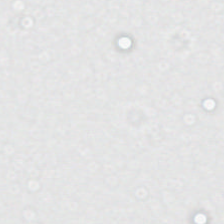H&E stain.
This patch shows no tissue.
